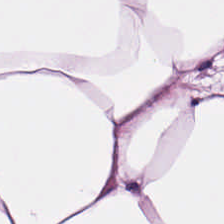Hematoxylin-and-eosin stained section. Adipocytes.
